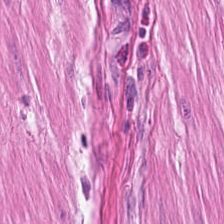FFPE · H&E · 0.5 µm per pixel. Tissue — muscularis.
